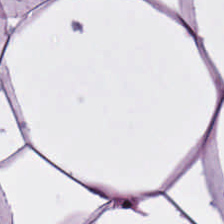H&E stain · whole-slide-image patch. Predominantly adipose.
